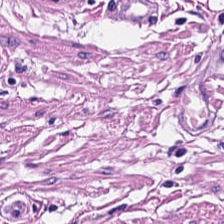Stain: H&E.
Resolution: 0.5 µm per pixel.
Acquisition: whole-slide-image patch.
Tissue type: smooth-muscle tissue.
